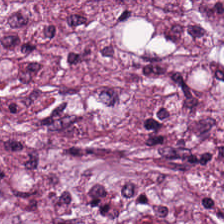FFPE tissue section. H&E stain. 0.5 µm per pixel.
Classification: desmoplastic stroma.
